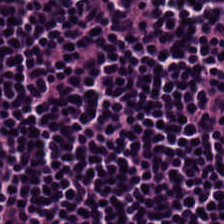Hematoxylin-and-eosin stained section; 224×224 pixel tile — Lymphocytes.
